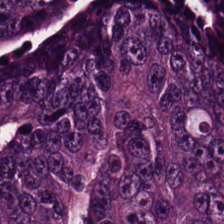Hematoxylin-and-eosin stained section.
This patch shows malignant epithelium.
